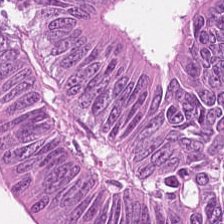The tissue class is colorectal adenocarcinoma.
